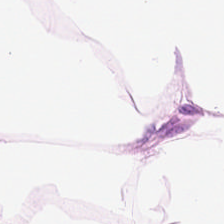Tissue class: adipose.
